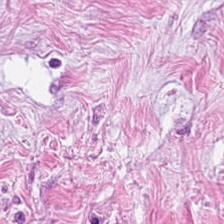H&E-stained tissue section.
Impression → cancer-associated stroma.
